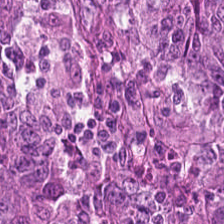Tissue type: colorectal adenocarcinoma epithelium.
